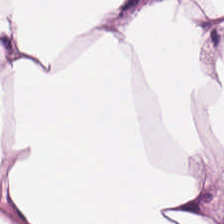Predominantly adipose.
